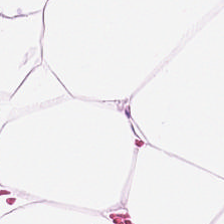Hematoxylin-and-eosin stained section · 224×224 px tile · 20× equivalent magnification — Finding — adipocytes.
